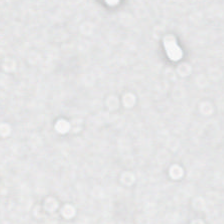H&E-stained tissue section · WSI patch · 20× equivalent magnification. Q: What is shown in this field?
A: This is background (no tissue).
